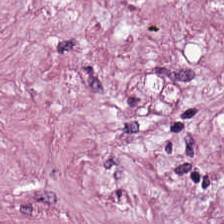H&E-stained tissue section · brightfield · 0.5 µm/px. The predominant tissue is cancer-associated stroma.
